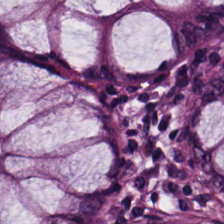Classification = normal colonic mucosa.
